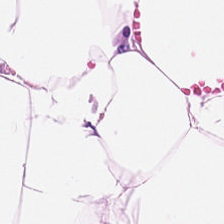Showing adipocytes.
